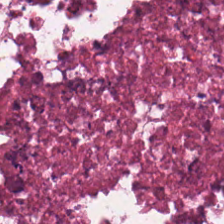Hematoxylin and eosin; 224×224 px patch — Showing debris.
